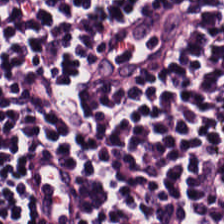Hematoxylin-and-eosin stained section — Impression → lymphoid infiltrate.
